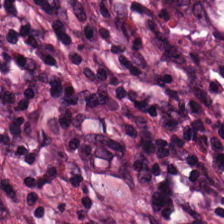Formalin-fixed paraffin-embedded section; 224×224 px patch; hematoxylin and eosin — Tissue type = desmoplastic stroma.
